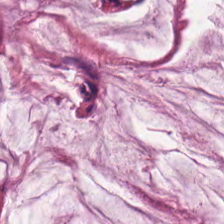Stain: H&E.
Resolution: 0.5 µm per pixel.
Acquisition: brightfield.
Tissue class: extracellular mucin.
